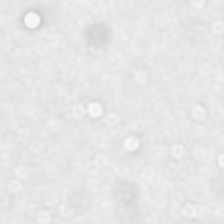Hematoxylin and eosin.
Field content: background (no tissue).
